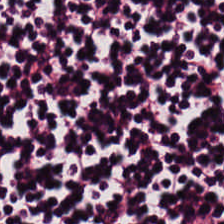Whole-slide-image patch; hematoxylin and eosin; FFPE — Showing lymphocytes.
